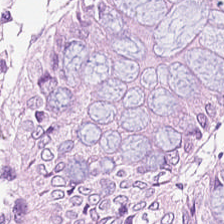H&E-stained tissue section. This field is benign colonic mucosa.
